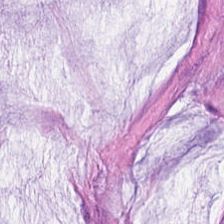H&E patch showing mucin.
